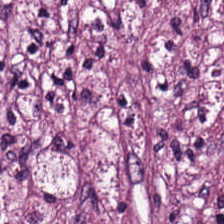FFPE. 0.5 microns per pixel. H&E.
Predominantly desmoplastic stroma.
